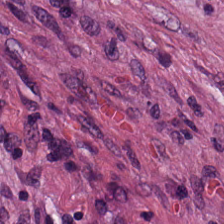Hematoxylin-and-eosin stained section; 0.5 microns per pixel.
The predominant tissue is tumor stroma.
